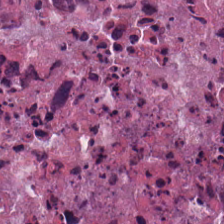Hematoxylin-and-eosin stained section.
Debris.
